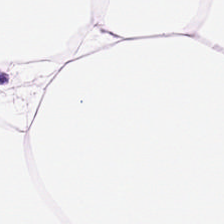Q: What is shown in this field?
A: This is adipocytes.
